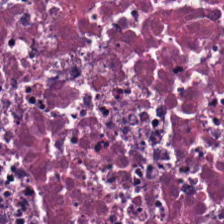H&E. This field is cellular debris.
